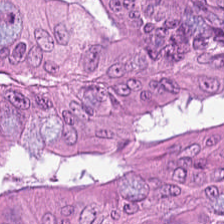Tissue type: tumor epithelium.
